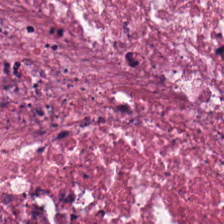Finding → necrotic debris.
